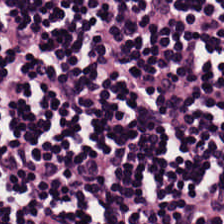20× equivalent magnification. 224×224 pixel tile. H&E-stained tissue section.
Finding — lymphocytic infiltrate.
